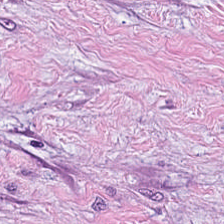224×224 pixel tile · hematoxylin-and-eosin stained section — Histology → tumor-associated stroma.
